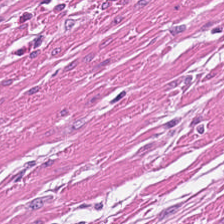H&E stain. {"tissue_type": "smooth-muscle tissue"}
